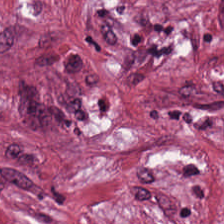Brightfield microscopy. H&E stain — This patch shows cancer-associated stroma.
